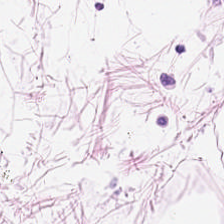Stain: hematoxylin-and-eosin stained section.
Tissue type: adipose.
